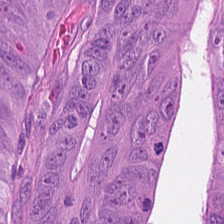H&E stain — Predominant tissue = colorectal adenocarcinoma epithelium.
